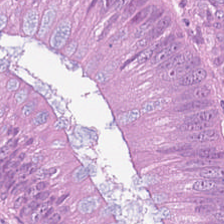The tissue here is malignant epithelium.
